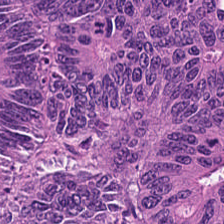Hematoxylin-and-eosin stained section — This field is tumor epithelium.
